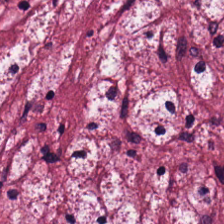H&E — The predominant tissue is desmoplastic stroma.
